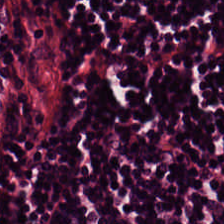H&E-stained section; the field shows lymphocyte aggregate.
